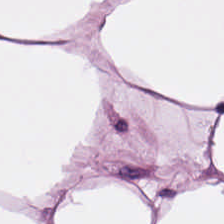H&E-stained tissue section.
Finding — adipose tissue.
